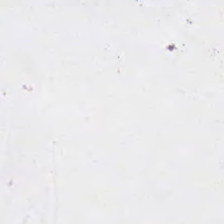Field content — empty background.
